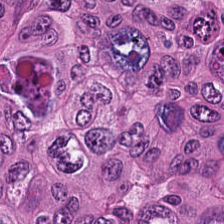Hematoxylin-and-eosin stained section.
The predominant tissue is colorectal adenocarcinoma.
